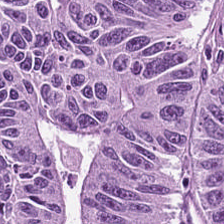FFPE. 20× equivalent magnification. H&E-stained tissue section. The predominant tissue is colorectal adenocarcinoma epithelium.
